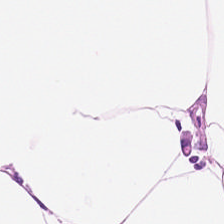H&E. {"tissue_type": "fat tissue"}
